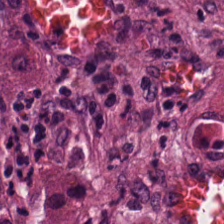Hematoxylin-and-eosin stained section · whole-slide-image patch — Predominant tissue: cancer-associated stroma.
